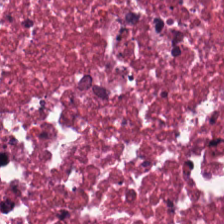Hematoxylin and eosin — Q: What is shown in this field?
A: Cellular debris.
